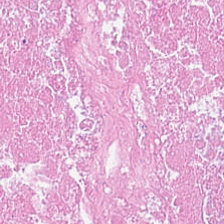224×224 px patch · H&E stain. {"tissue_type": "debris"}
